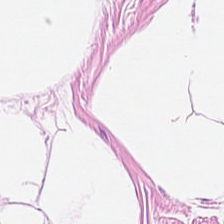Showing adipose.
